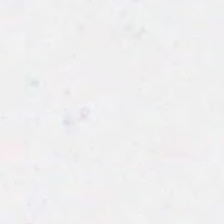Content — no tissue.
